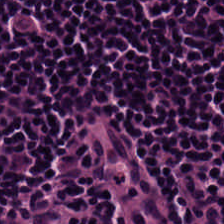H&E · 0.5 microns per pixel · 224×224 px tile. Q: What is shown in this field?
A: Lymphocytic infiltrate.
